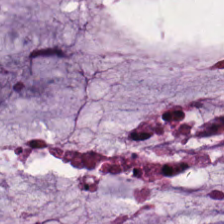{"tissue_type": "extracellular mucin"}
